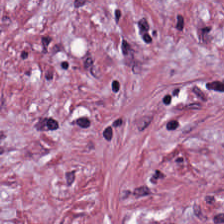Stain: hematoxylin-and-eosin stained section.
Predominant tissue: tumor-associated stroma.
